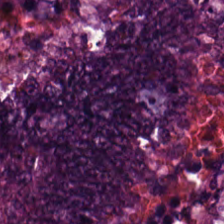Stain: hematoxylin-and-eosin stained section.
Preparation: formalin-fixed paraffin-embedded section.
Tissue: malignant epithelium.
